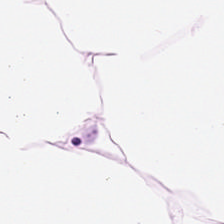Q: Classify this patch.
A: It is adipose.
